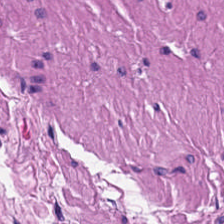224×224 px tile. H&E. Showing muscularis.
